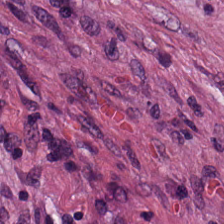FFPE tissue section · H&E stain — Tissue class — cancer-associated stroma.
